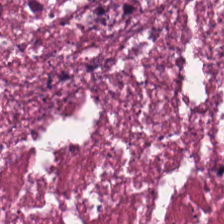Tissue type: cellular debris.
